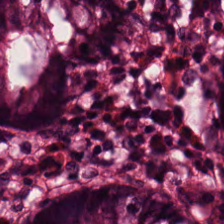Stain: H&E stain.
Tissue type: normal colonic mucosa.
